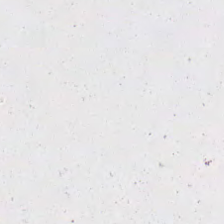Hematoxylin and eosin; 0.5 µm per pixel.
This patch shows no tissue.
